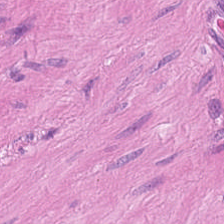H&E stain — This patch shows smooth-muscle tissue.
